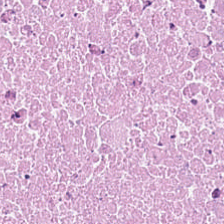Stain: hematoxylin-and-eosin stained section.
Tissue class: cellular debris.
